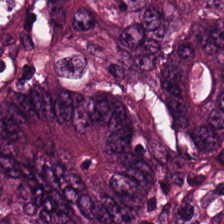FFPE. H&E stain. Brightfield microscopy.
Q: What is shown in this field?
A: It is tumor epithelium.
